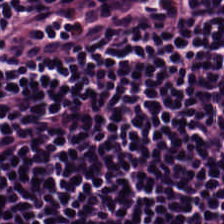Tissue type: lymphoid infiltrate.
